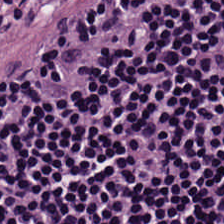Stain: H&E-stained tissue section.
Tissue: lymphocytic infiltrate.
